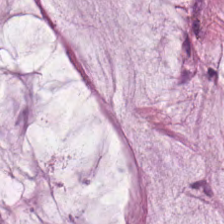20× equivalent magnification · 224×224 px tile · H&E. Predominant tissue: mucin.
